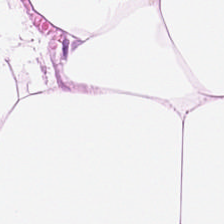Whole-slide-image patch. H&E. Adipose tissue.
